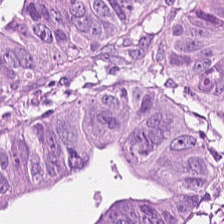Stain: H&E stain.
Tissue: adenocarcinoma.
